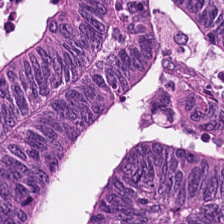Q: What type of tissue is this?
A: It is colorectal adenocarcinoma.
